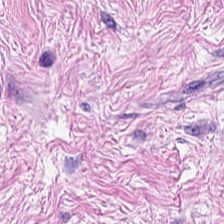H&E-stained tissue section.
Q: What type of tissue is this?
A: This is desmoplastic stroma.
